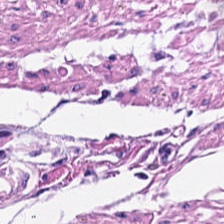Hematoxylin and eosin.
Histology — smooth-muscle tissue.
